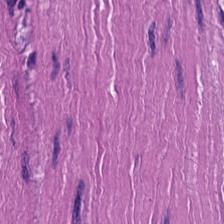H&E stain. Smooth-muscle tissue.
